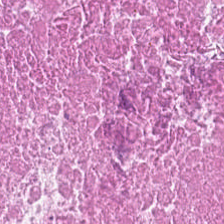Predominant tissue = debris.
